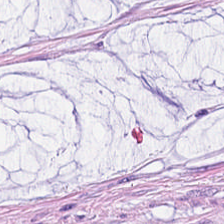Hematoxylin and eosin.
Tissue class: mucus.
